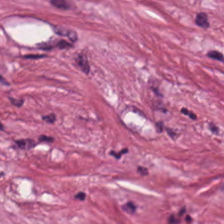Brightfield microscopy. H&E.
The tissue here is tumor-associated stroma.
